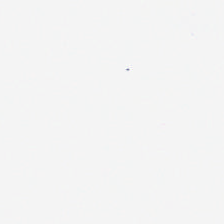20× equivalent magnification. 224×224 px tile. H&E stain.
The field content is empty background.
